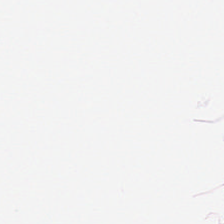This field is fat tissue.
